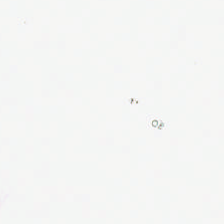224×224 px tile. H&E-stained tissue section — Content = background.
